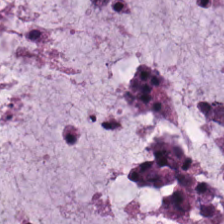Hematoxylin and eosin.
{"tissue_type": "mucus"}
